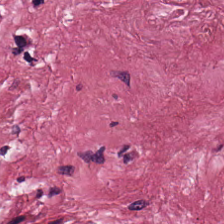Classification — cancer-associated stroma.
